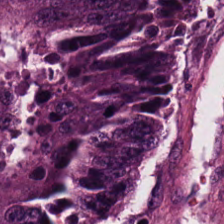Stain: hematoxylin-and-eosin stained section.
Predominant tissue: adenocarcinoma.
